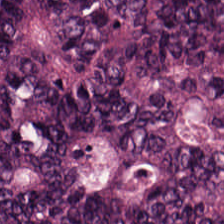Stain: hematoxylin and eosin.
Tile size: 224×224 px patch.
Acquisition: brightfield microscopy.
Tissue class: tumor epithelium.
